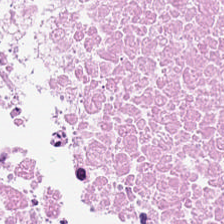H&E · FFPE tissue section.
This field is debris.
